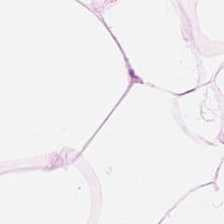Stain: H&E.
Classification: adipose.
